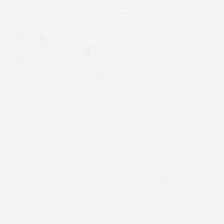Hematoxylin and eosin — No tissue present; background only.
